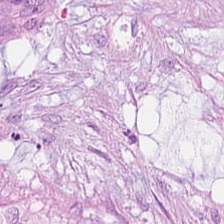H&E stain; 224×224 px patch; 20× equivalent magnification. Predominant tissue: tumor epithelium.
